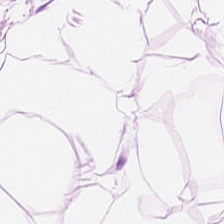Hematoxylin-and-eosin stained section — Q: Identify the tissue.
A: It is adipose.
